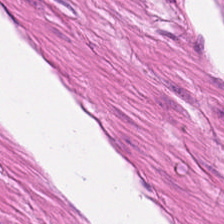0.5 µm per pixel. H&E stain.
Impression → smooth muscle.
